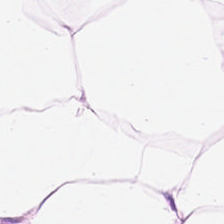Whole-slide-image patch; H&E-stained tissue section.
{"tissue_type": "adipose tissue"}
